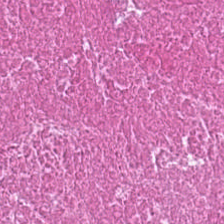Hematoxylin-and-eosin stained section. Tissue = necrotic debris.
